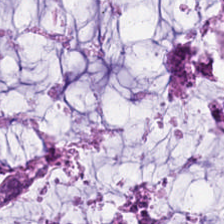FFPE. Brightfield. H&E-stained tissue section. Mucus.
